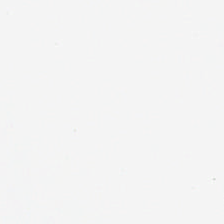H&E-stained tissue section.
Empty field — no tissue.
